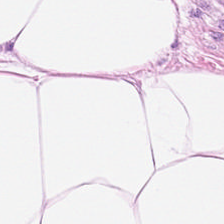224×224 pixel tile · 20× equivalent magnification · hematoxylin-and-eosin stained section. This field is adipocytes.
